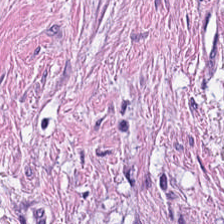H&E — muscularis.
